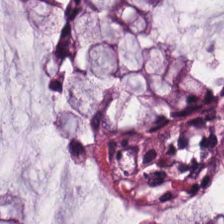Formalin-fixed paraffin-embedded section; H&E stain — The tissue here is non-neoplastic colon mucosa.
